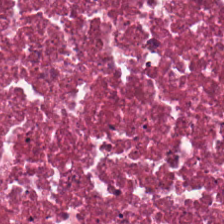Stain: hematoxylin-and-eosin stained section.
Resolution: 20× equivalent magnification.
Preparation: FFPE tissue section.
Classification: cellular debris.
